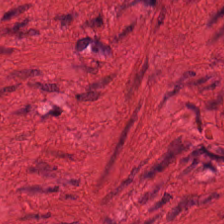H&E. The predominant tissue is smooth muscle.
